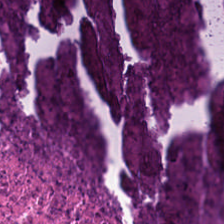The tissue here is debris.
